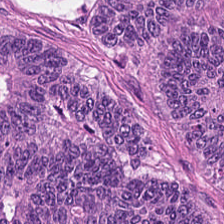H&E stain — The tissue type is adenocarcinoma.
